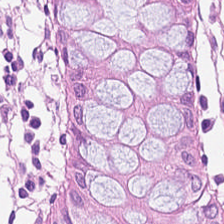H&E stain — The predominant tissue is non-neoplastic colon mucosa.
